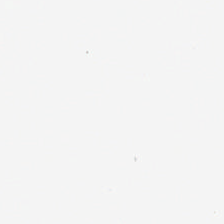Formalin-fixed paraffin-embedded section; hematoxylin-and-eosin stained section. No tissue present; background only.
